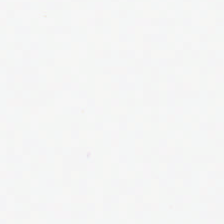H&E stain — Classification = empty background.
